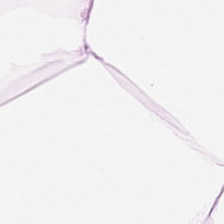FFPE · H&E stain · 20× equivalent magnification. Q: What is shown in this field?
A: The field shows adipocytes.
